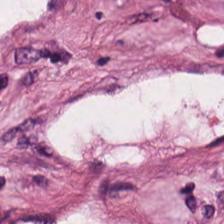H&E stain — Tumor stroma.
